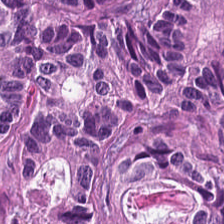Stain: hematoxylin-and-eosin stained section.
Tissue class: tumor epithelium.
